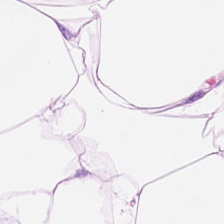H&E-stained section; the field shows adipocytes.
